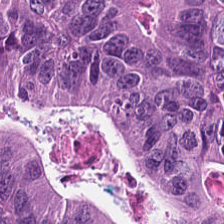H&E patch showing colorectal adenocarcinoma.
